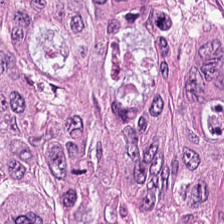Classification — colorectal adenocarcinoma epithelium.
